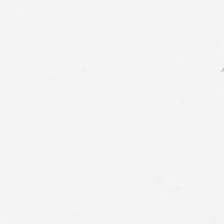Stain: H&E-stained tissue section.
Resolution: 20× equivalent magnification.
Tile size: 224×224 pixel tile.
Content: background (no tissue).
